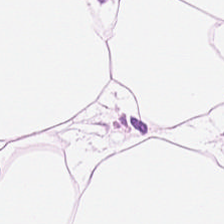20× equivalent magnification. H&E-stained tissue section — Adipose tissue.
